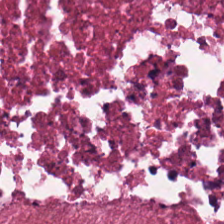Finding — debris.
